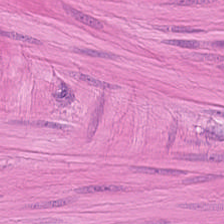FFPE; hematoxylin-and-eosin stained section; 224×224 px tile. Q: Classify this patch.
A: The field shows smooth muscle.
